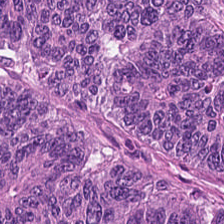WSI patch · H&E stain · 0.5 µm/px — Q: Identify the tissue.
A: Malignant epithelium.
